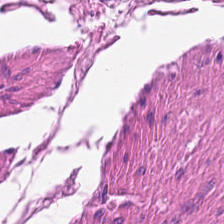H&E-stained tissue section — {"tissue_type": "smooth muscle"}
